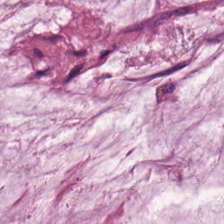Q: What tissue is shown?
A: This is extracellular mucin.
